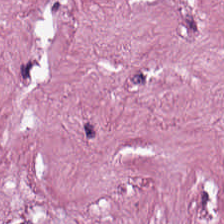Hematoxylin-and-eosin stained section — Tissue class: tumor-associated stroma.
